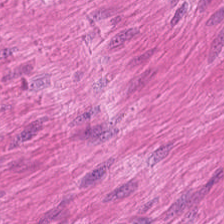Hematoxylin-and-eosin stained section · brightfield · FFPE. The predominant tissue is muscularis.
